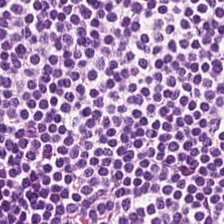H&E-stained tissue section.
Tissue = lymphocytes.
